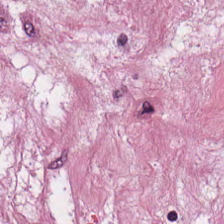Stain: hematoxylin and eosin.
Predominant tissue: cancer-associated stroma.
